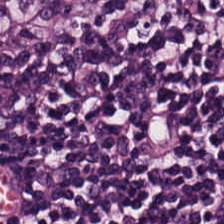H&E stain — The classification is lymphoid infiltrate.
